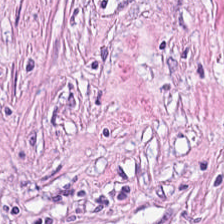H&E.
Cancer-associated stroma.
